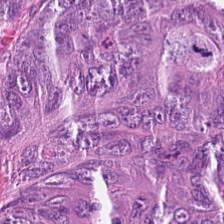Hematoxylin and eosin.
Tissue = malignant epithelium.
